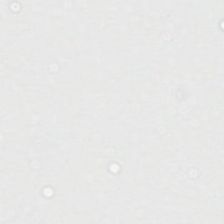0.5 µm/px. FFPE. H&E — Classification: no tissue.
